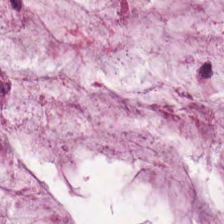Stain: H&E.
Predominant tissue: mucin.
